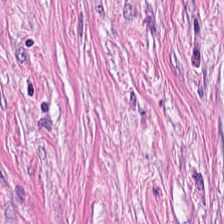H&E-stained tissue section.
Predominant tissue — tumor stroma.
